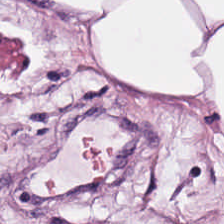Hematoxylin-and-eosin section: adipose tissue.
